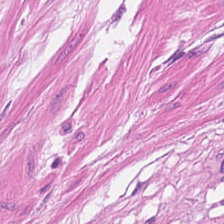Whole-slide-image patch. H&E-stained tissue section. 0.5 µm/px.
Smooth muscle.
